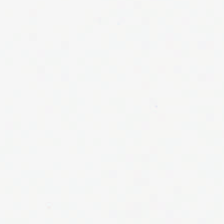Brightfield microscopy; H&E-stained tissue section.
{"content": "no tissue"}
